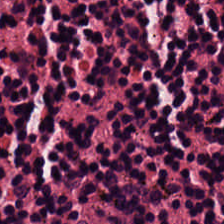Stain: hematoxylin-and-eosin stained section.
Predominant tissue: lymphocytes.
